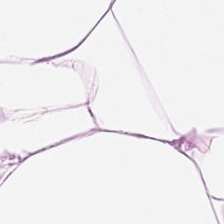Hematoxylin-and-eosin stained section.
Predominant tissue: adipose tissue.
